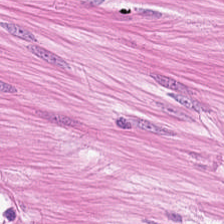FFPE tissue section; hematoxylin and eosin.
The tissue class is muscularis.
